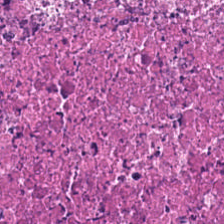The classification is necrotic debris.
